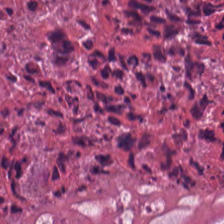Stain: H&E.
Resolution: 0.5 µm per pixel.
Predominant tissue: necrotic debris.
